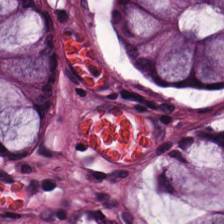Whole-slide-image patch. H&E-stained tissue section. The predominant tissue is non-neoplastic colon mucosa.
